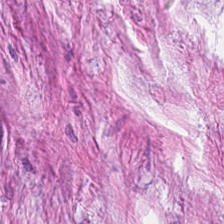The tissue is cancer-associated stroma.
